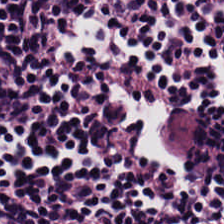Hematoxylin-and-eosin stained section — The predominant tissue is lymphoid infiltrate.
